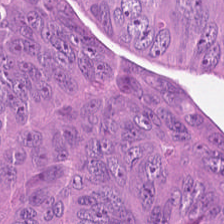Hematoxylin-and-eosin stained section; FFPE — Tissue type: tumor epithelium.
